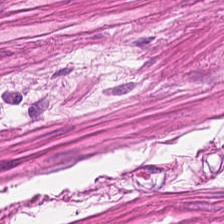{"tissue_type": "smooth-muscle tissue"}
